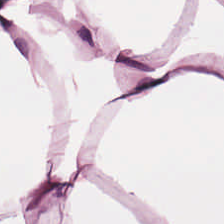Q: What is shown in this field?
A: This is adipose.
